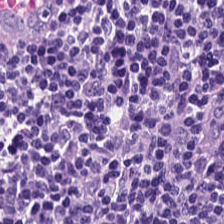Hematoxylin and eosin. Q: What type of tissue is this?
A: The field shows lymphocytes.
